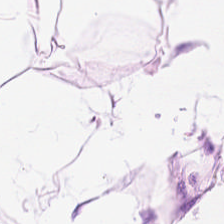Hematoxylin and eosin. The tissue class is fat tissue.
